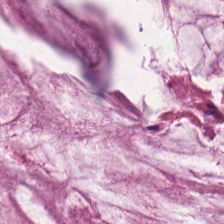Hematoxylin-and-eosin stained section. 224×224 px tile — Extracellular mucin.
